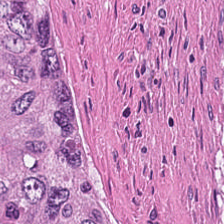H&E-stained tissue section. 224×224 px patch. Brightfield.
Necrotic debris.
